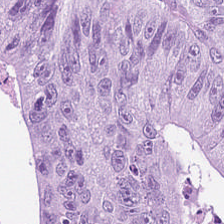Classification = tumor epithelium.
